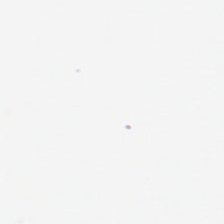H&E.
Q: What is shown here?
A: It is background (no tissue).
